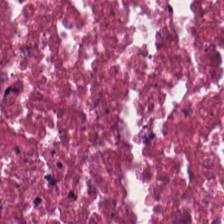Tissue — debris.
